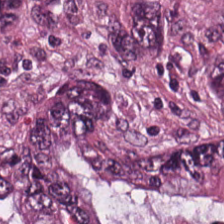Hematoxylin and eosin. Tissue class — colorectal adenocarcinoma epithelium.
